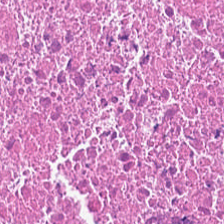Hematoxylin-and-eosin stained section.
Tissue class = cellular debris.
